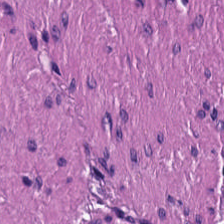Hematoxylin and eosin — The tissue here is smooth muscle.
